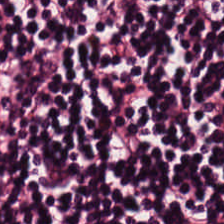H&E. Predominantly lymphocytic infiltrate.
